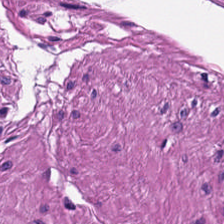Predominant tissue — muscularis.
